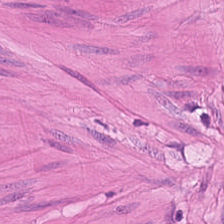Hematoxylin and eosin — Q: What is shown in this field?
A: The field shows smooth-muscle tissue.
